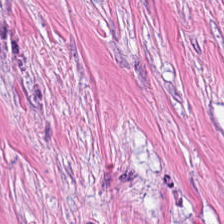Hematoxylin-and-eosin stained section — This patch shows tumor stroma.
